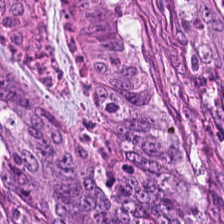H&E.
Q: What tissue type is shown here?
A: Colorectal adenocarcinoma epithelium.
